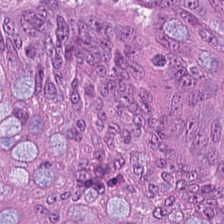Hematoxylin and eosin · FFPE. The classification is adenocarcinoma.
